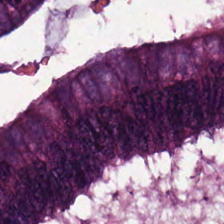224×224 px patch; H&E.
This field is adenocarcinoma.
